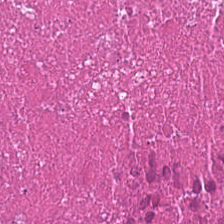H&E-stained tissue section. Tissue = necrotic debris.
